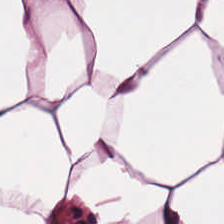Hematoxylin and eosin. Brightfield. FFPE.
Showing fat tissue.
